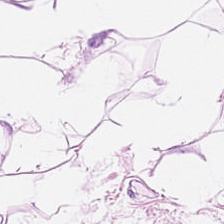H&E-stained tissue section. Whole-slide-image patch. This field is adipose tissue.
